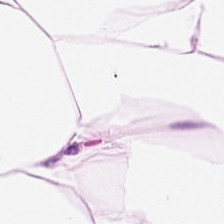Stain: H&E stain.
Resolution: 0.5 µm/px.
Acquisition: whole-slide-image patch.
Classification: fat tissue.
